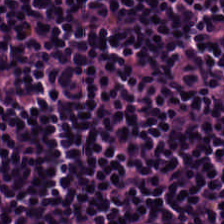FFPE tissue section · hematoxylin and eosin · brightfield — The tissue is lymphocyte aggregate.
